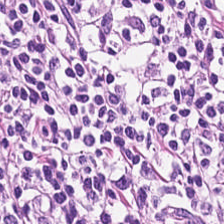224×224 pixel tile; hematoxylin-and-eosin stained section; whole-slide-image patch.
Tissue type: lymphocytes.
